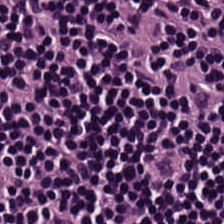Hematoxylin and eosin; 20× equivalent magnification. Tissue: lymphocytic infiltrate.
